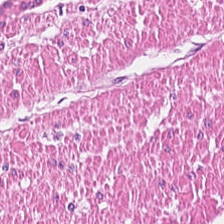Q: Classify this patch.
A: It is muscularis.
